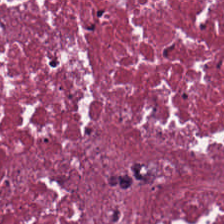Formalin-fixed paraffin-embedded section; H&E-stained tissue section; brightfield microscopy — Tissue class: cellular debris.
